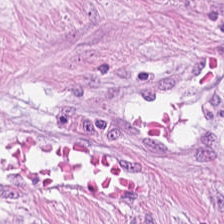Q: What is shown here?
A: Desmoplastic stroma.
